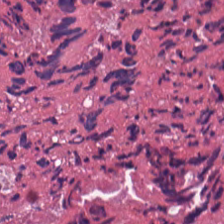H&E. The tissue here is necrotic debris.
